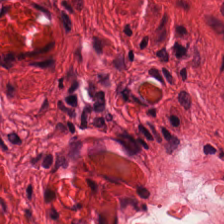224×224 px tile; hematoxylin and eosin — Q: What is the predominant tissue type?
A: Smooth-muscle tissue.
